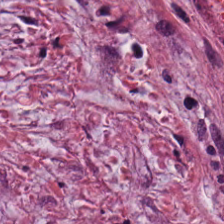Q: What is shown in this field?
A: Cancer-associated stroma.
